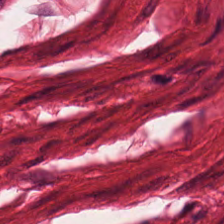Stain: hematoxylin and eosin.
Resolution: 0.5 microns per pixel.
Predominant tissue: smooth muscle.
